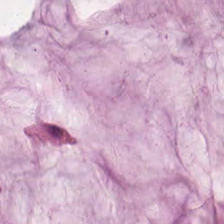H&E. Tissue type: mucus.
